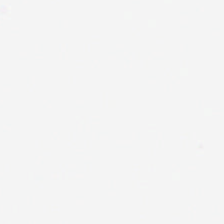Hematoxylin-and-eosin stained section.
Background — no tissue in this field.
